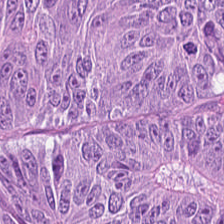H&E · brightfield.
The predominant tissue is colorectal adenocarcinoma.
